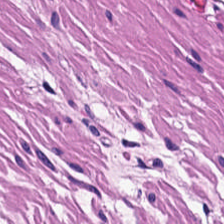Stain: H&E stain.
Tissue type: smooth muscle.
